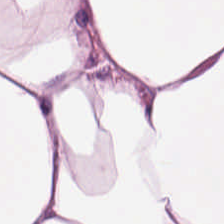Hematoxylin and eosin; brightfield microscopy — Predominantly fat tissue.
